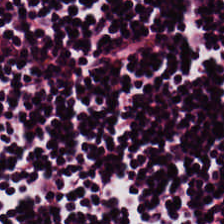Stain: H&E-stained tissue section.
Predominant tissue: lymphocyte aggregate.
